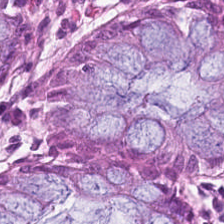H&E. The tissue here is normal colonic mucosa.
